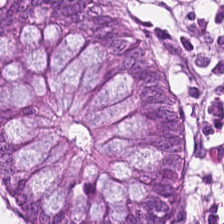Whole-slide-image patch · 20× equivalent magnification · H&E-stained tissue section.
Predominantly benign colonic mucosa.
